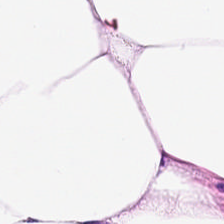H&E stain — The predominant tissue is adipocytes.
